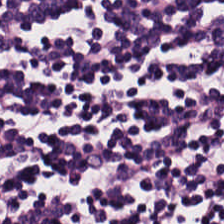WSI patch. H&E-stained tissue section. Predominantly lymphocytes.
